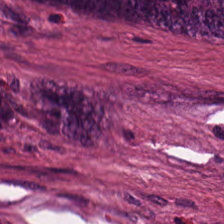H&E-stained tissue section. The predominant tissue is colorectal adenocarcinoma.
